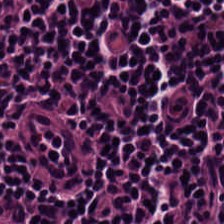0.5 microns per pixel. Hematoxylin-and-eosin stained section.
Histology — lymphocyte aggregate.
